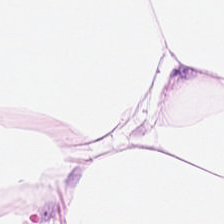H&E-stained tissue section.
{"tissue_type": "adipose tissue"}
